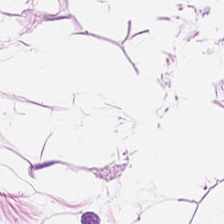The tissue here is adipose.
